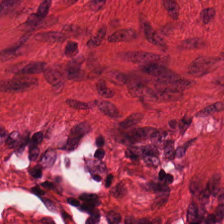H&E-stained tissue section — Tissue — smooth muscle.
